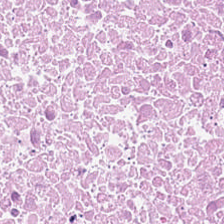Hematoxylin-and-eosin stained section. Q: What does this patch show?
A: The field shows cellular debris.
